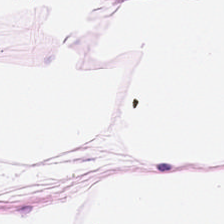Hematoxylin and eosin. The predominant tissue is adipose.
